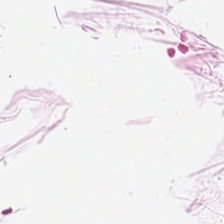H&E stain.
The tissue is adipose tissue.
